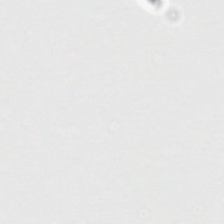Empty field — background.
